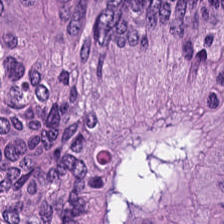Hematoxylin-and-eosin stained section.
Predominant tissue: adenocarcinoma.
